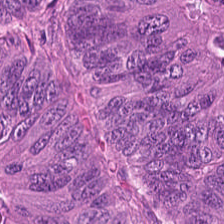Q: What is shown here?
A: The field shows adenocarcinoma.
